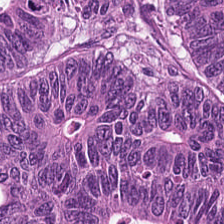H&E.
This patch shows adenocarcinoma.
